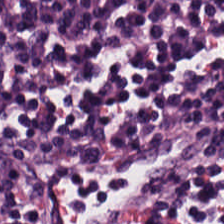H&E stain — The predominant tissue is lymphocyte aggregate.
